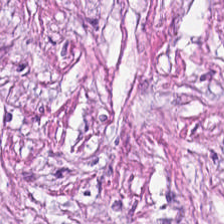224×224 pixel tile; H&E. Desmoplastic stroma.
